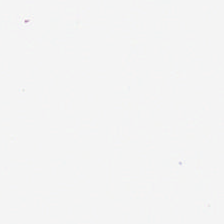H&E stain.
Q: What is shown in this field?
A: The field shows empty background.
